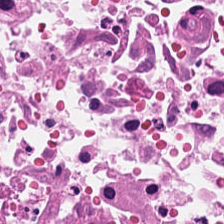Hematoxylin-and-eosin stained section. Q: Identify the tissue.
A: It is necrotic debris.
